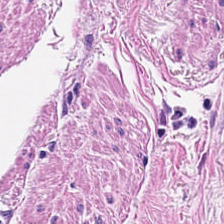Q: What tissue type is shown here?
A: It is smooth muscle.
